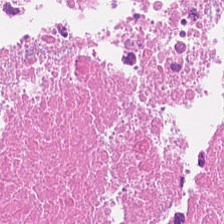H&E-stained tissue section; formalin-fixed paraffin-embedded section.
Predominantly necrotic debris.
